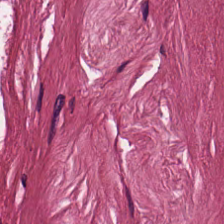20× equivalent magnification. H&E. FFPE. The tissue here is cancer-associated stroma.
